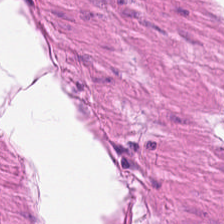H&E-stained tissue section showing muscularis.
